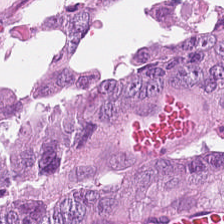H&E-stained tissue section — Tissue class = malignant epithelium.
